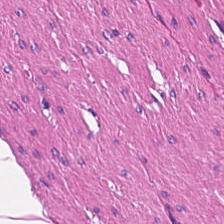Hematoxylin-and-eosin stained section — This field is smooth muscle.
